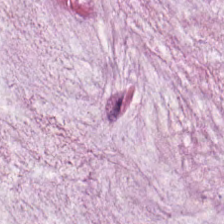0.5 µm/px; H&E; FFPE tissue section — Q: What tissue is shown?
A: This is extracellular mucin.
